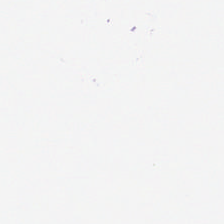H&E stain. Brightfield.
Histology → empty background.
